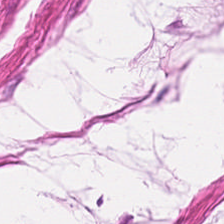H&E-stained tissue section.
Impression — smooth muscle.
